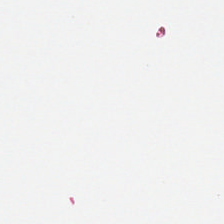H&E-stained tissue section. Brightfield — This patch shows empty background.
